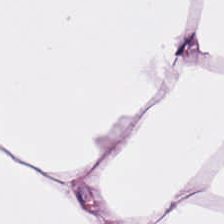Q: Identify the tissue.
A: This is adipocytes.
